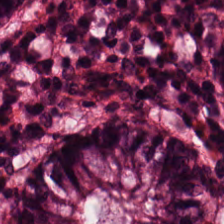Predominantly benign colonic mucosa.
